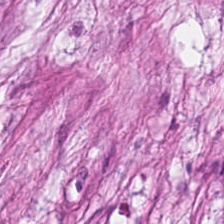0.5 µm per pixel; brightfield; hematoxylin and eosin — This patch shows desmoplastic stroma.
